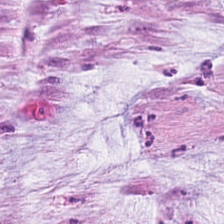H&E stain; 224×224 px patch; 0.5 µm/px. The tissue here is mucus.
